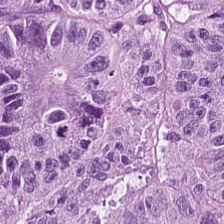Hematoxylin-and-eosin stained section — Classification = malignant epithelium.
